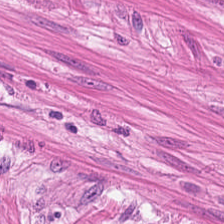Formalin-fixed paraffin-embedded section; 0.5 microns per pixel; hematoxylin and eosin. Impression — smooth muscle.
